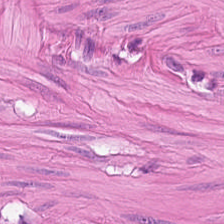FFPE · 224×224 px tile · hematoxylin and eosin.
Tissue class: muscularis.
